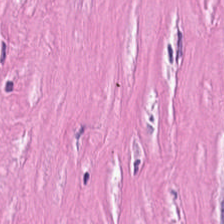Brightfield · 224×224 px tile · hematoxylin-and-eosin stained section.
Q: Classify this patch.
A: Desmoplastic stroma.
